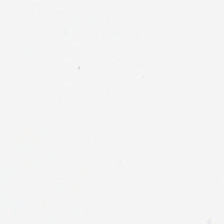Hematoxylin and eosin; 0.5 microns per pixel. Background (no tissue).
